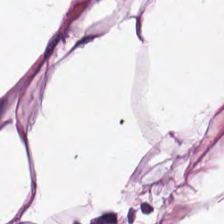Brightfield microscopy; H&E. Predominant tissue — adipose.
